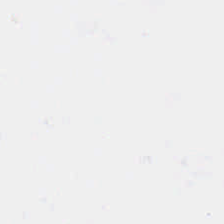No tissue present; background only.
